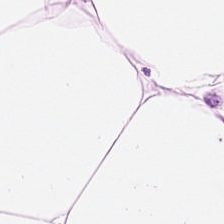Hematoxylin-and-eosin stained section.
Predominantly adipose.
